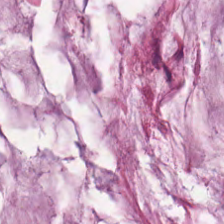0.5 µm/px. Hematoxylin-and-eosin stained section — Predominant tissue — mucus.
